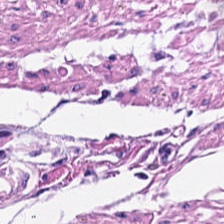H&E-stained tissue section. 224×224 px patch. WSI patch — Q: Classify this patch.
A: The field shows muscularis.
